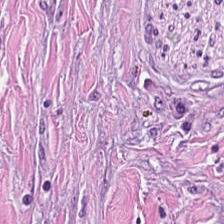H&E. Q: What is shown in this field?
A: This is tumor-associated stroma.
